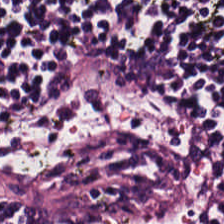Formalin-fixed paraffin-embedded section. H&E.
Predominantly lymphoid infiltrate.
